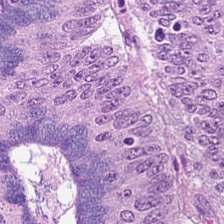Malignant epithelium.
